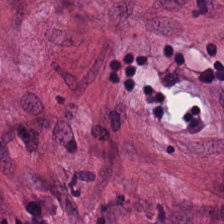Q: Classify this patch.
A: Tumor stroma.
